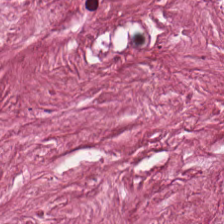The tissue here is tumor stroma.
